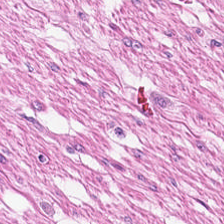Stain: hematoxylin-and-eosin stained section.
Classification: muscularis.
